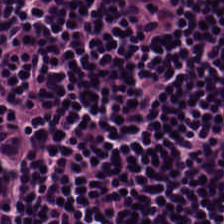H&E. Whole-slide-image patch. 20× equivalent magnification. The predominant tissue is lymphocytes.
